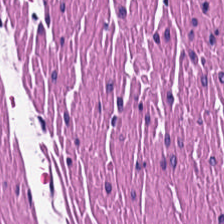The predominant tissue is smooth muscle.
